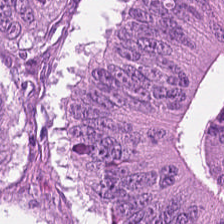H&E stain — Q: What tissue is shown?
A: Malignant epithelium.
